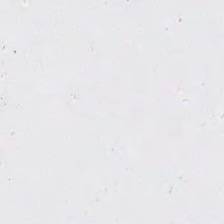H&E — Q: What is shown in this field?
A: It is no tissue.
